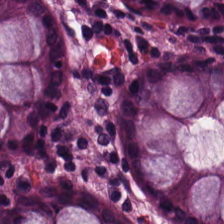Benign colonic mucosa.
